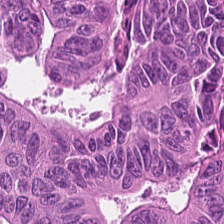H&E stain. Showing colorectal adenocarcinoma epithelium.
